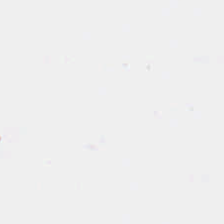Hematoxylin and eosin.
Q: What does this patch show?
A: It is background (no tissue).
